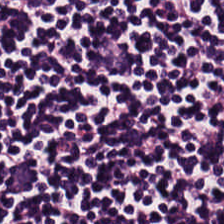Hematoxylin and eosin · 224×224 px patch. Predominantly lymphoid infiltrate.
